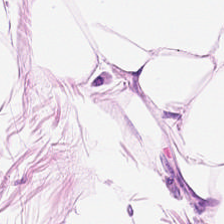WSI patch; hematoxylin-and-eosin stained section.
The tissue here is adipose.
